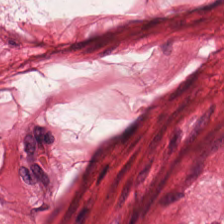Hematoxylin-and-eosin stained section. Q: What is shown here?
A: This is smooth-muscle tissue.
